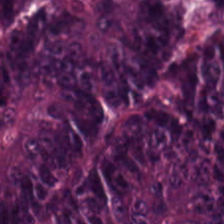WSI patch. Hematoxylin-and-eosin stained section.
The tissue here is colorectal adenocarcinoma epithelium.
